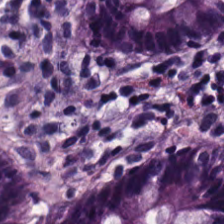Hematoxylin-and-eosin stained section — Histology — normal colonic mucosa.
